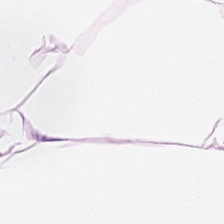H&E stain. 224×224 pixel tile. Finding → adipocytes.
